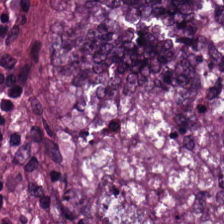Hematoxylin and eosin — Predominantly adenocarcinoma.
